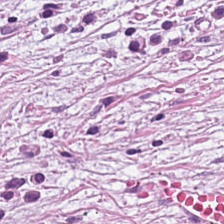Finding → desmoplastic stroma.
